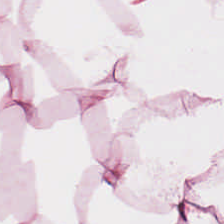Hematoxylin and eosin.
Showing adipose tissue.
